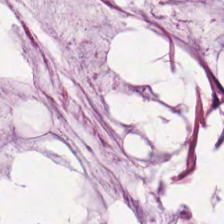H&E-stained tissue section.
The tissue class is mucin.
